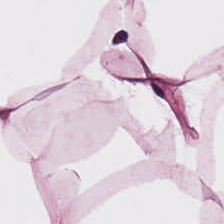Stain: H&E stain.
Predominant tissue: fat tissue.
